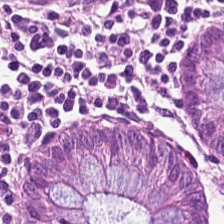H&E; 20× equivalent magnification — Predominant tissue — benign colonic mucosa.
